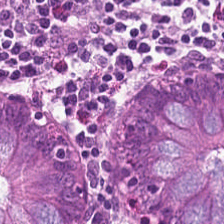Hematoxylin and eosin · 224×224 px tile.
Predominant tissue — normal colon mucosa.
